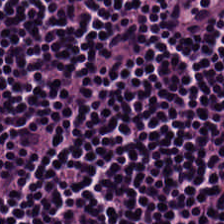H&E; 0.5 µm per pixel.
Classification — lymphocytes.
